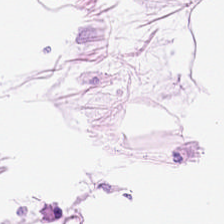Hematoxylin and eosin. Tissue — adipose.
